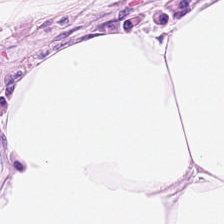FFPE tissue section; WSI patch; H&E.
This patch shows adipocytes.
